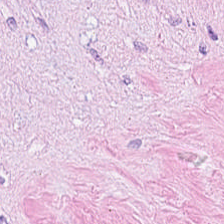H&E-stained tissue section; FFPE — Tumor stroma.
